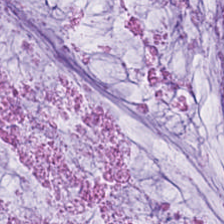Stain: H&E.
Preparation: formalin-fixed paraffin-embedded section.
Resolution: 0.5 µm/px.
Tissue: mucin.
